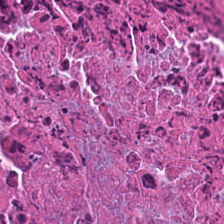The classification is necrotic debris.
